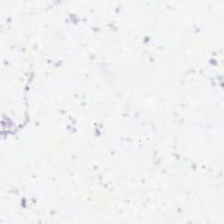FFPE. Brightfield. H&E-stained tissue section.
The content is empty background.
